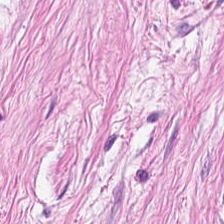{"tissue_type": "cancer-associated stroma"}
